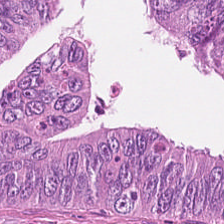224×224 pixel tile. H&E stain — Classification: colorectal adenocarcinoma.
